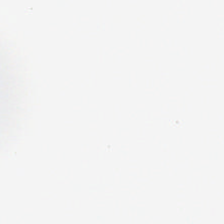No tissue present; background only.
